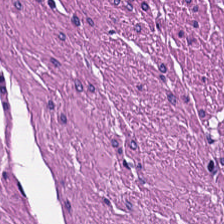Q: What tissue type is shown here?
A: The field shows muscularis.
